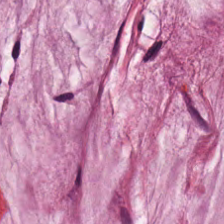H&E stain.
Predominantly mucus.
